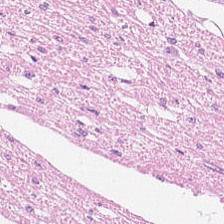H&E-stained section; the field shows smooth muscle.
